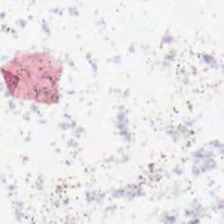H&E.
{"content": "empty background"}
